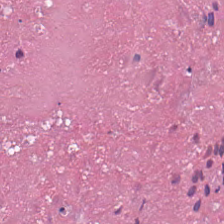0.5 µm per pixel; H&E; WSI patch. Finding → cellular debris.
